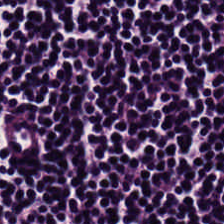H&E stain — Q: What is the predominant tissue type?
A: Lymphoid infiltrate.
